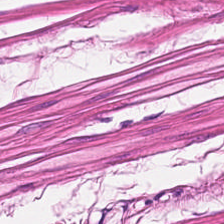0.5 µm per pixel · H&E — Muscularis.
